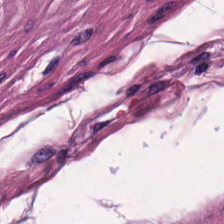Stain: hematoxylin and eosin.
Tissue: smooth-muscle tissue.
